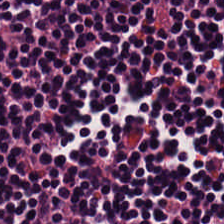224×224 pixel tile; H&E. Showing lymphocyte aggregate.
